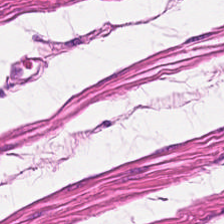H&E-stained tissue section — {"tissue_type": "smooth-muscle tissue"}
